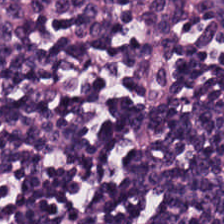224×224 px patch; hematoxylin-and-eosin stained section; FFPE tissue section.
{"tissue_type": "lymphoid infiltrate"}
